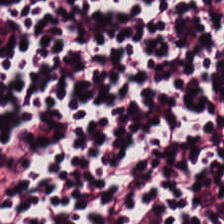H&E-stained tissue section. This field is lymphocytes.
